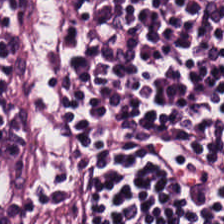Hematoxylin-and-eosin stained section.
Predominant tissue: lymphocytes.
